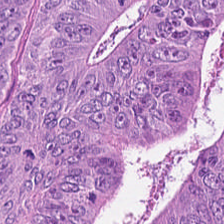Stain: H&E.
Tile size: 224×224 px tile.
Acquisition: brightfield.
Tissue: colorectal adenocarcinoma epithelium.
